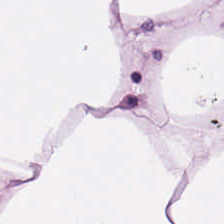H&E patch showing adipocytes.
